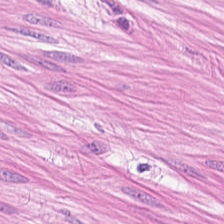H&E-stained section; the field shows muscularis.
